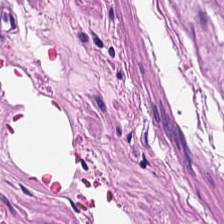H&E-stained tissue section; WSI patch. Predominantly smooth muscle.
